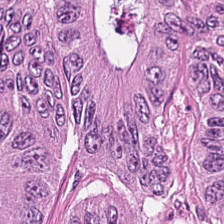Stain: hematoxylin and eosin.
Tissue: colorectal adenocarcinoma epithelium.
